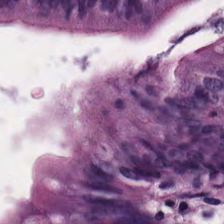Hematoxylin and eosin · FFPE. Benign colonic mucosa.
